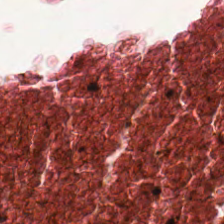Stain: hematoxylin-and-eosin stained section.
Preparation: FFPE.
Predominant tissue: debris.
